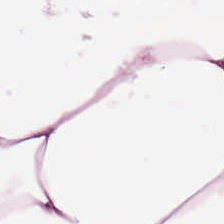Brightfield microscopy; H&E-stained tissue section — Showing adipocytes.
